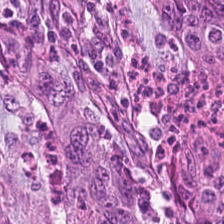Formalin-fixed paraffin-embedded section. H&E-stained tissue section. Whole-slide-image patch. Tissue = colorectal adenocarcinoma.
